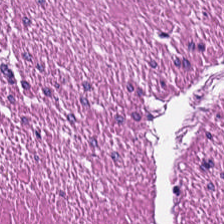Hematoxylin and eosin. The predominant tissue is muscularis.
